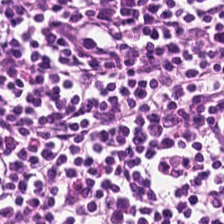Hematoxylin-and-eosin stained section. Predominant tissue: lymphocyte aggregate.
